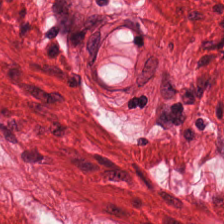H&E stain. This field is smooth-muscle tissue.
